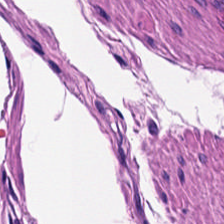0.5 µm per pixel; H&E. This field is smooth muscle.
